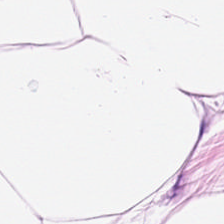Stain: H&E stain.
Acquisition: WSI patch.
Preparation: formalin-fixed paraffin-embedded section.
Tissue: adipocytes.
